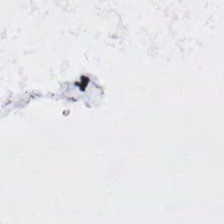H&E stain. Q: Classify this patch.
A: This is empty background.
